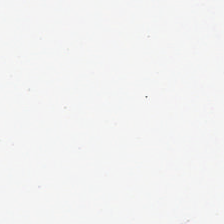Impression — empty background.
